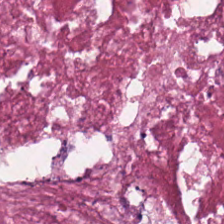Hematoxylin and eosin. The predominant tissue is necrotic debris.
